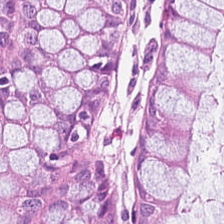H&E-stained tissue section. Predominantly non-neoplastic colon mucosa.
